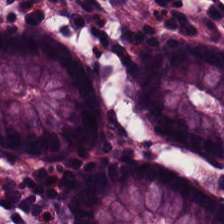Q: What is shown here?
A: It is normal colon mucosa.
